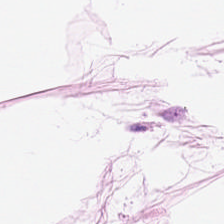224×224 pixel tile. H&E stain. The tissue type is fat tissue.
